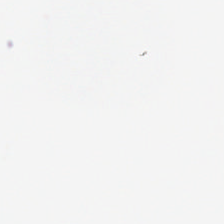Hematoxylin and eosin — The content is no tissue.
